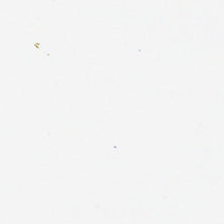Hematoxylin and eosin · 224×224 pixel tile — No tissue present; background only.
